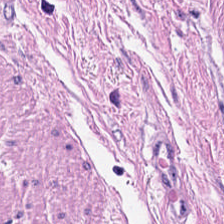0.5 µm per pixel · hematoxylin and eosin. {"tissue_type": "smooth muscle"}
